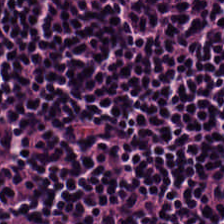224×224 pixel tile; hematoxylin and eosin. Lymphocytic infiltrate.
